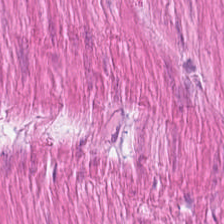Hematoxylin-and-eosin stained section; 20× equivalent magnification.
{"tissue_type": "smooth-muscle tissue"}
